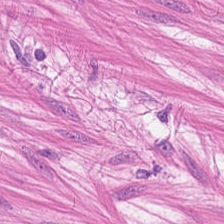{"tissue_type": "smooth-muscle tissue"}
